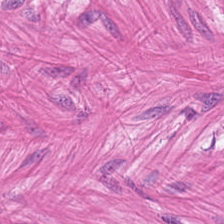Tissue = smooth muscle.
